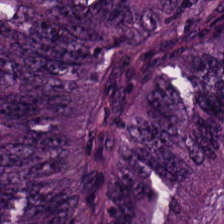H&E-stained tissue section — Predominant tissue — colorectal adenocarcinoma epithelium.
